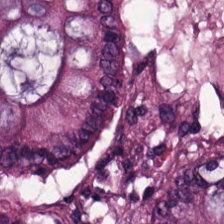Tissue: normal colonic mucosa.
